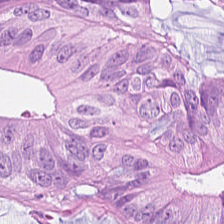FFPE tissue section. H&E-stained tissue section. 224×224 px tile. Impression — malignant epithelium.
